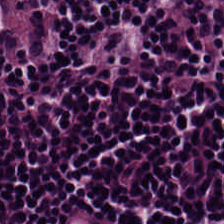H&E-stained tissue section. 0.5 µm per pixel — Q: What is shown in this field?
A: It is lymphoid infiltrate.
